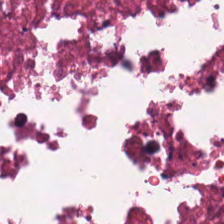Showing necrotic debris.
